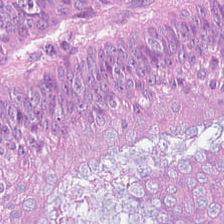This field is tumor epithelium.
